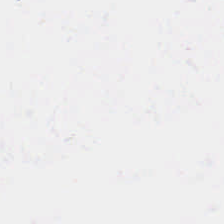Stain: hematoxylin-and-eosin stained section.
Acquisition: brightfield.
Preparation: formalin-fixed paraffin-embedded section.
Content: empty background.
